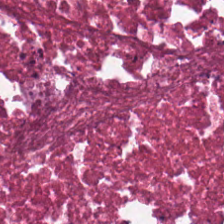Tissue — cellular debris.
